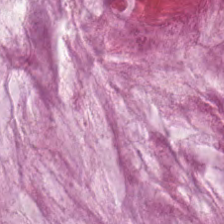Classification — mucin.
